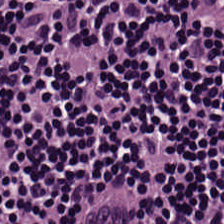Histology — lymphocyte aggregate.
